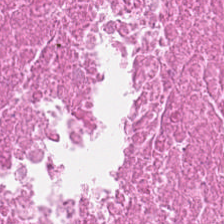H&E stain; 224×224 px patch — Predominantly cellular debris.
